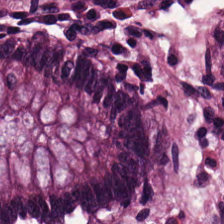The predominant tissue is normal colon mucosa.
